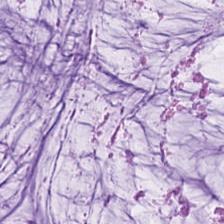Stain: H&E.
Acquisition: WSI patch.
Tissue: mucin.
